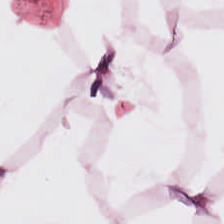H&E stain. Fat tissue.
